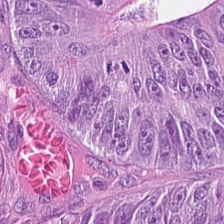Formalin-fixed paraffin-embedded section; 20× equivalent magnification; hematoxylin-and-eosin stained section — Classification = colorectal adenocarcinoma epithelium.
